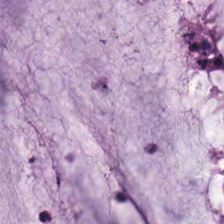H&E. 20× equivalent magnification. FFPE. This field is extracellular mucin.
